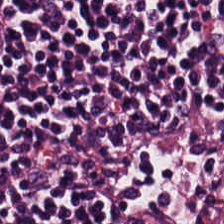H&E. FFPE. Q: What is shown here?
A: Lymphocytes.
